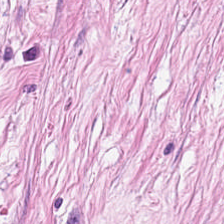Hematoxylin and eosin. 224×224 px patch — This field is tumor stroma.
